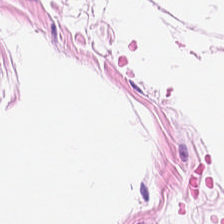H&E stain; brightfield microscopy. Q: What tissue type is shown here?
A: It is fat tissue.
